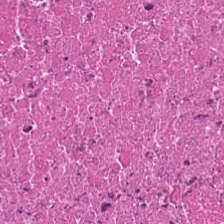Formalin-fixed paraffin-embedded section · H&E stain — Finding — necrotic debris.
